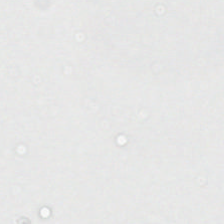20× equivalent magnification · H&E-stained tissue section.
Histology — empty background.
